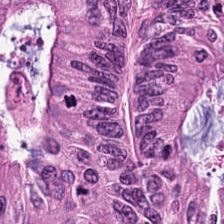Impression → adenocarcinoma.
